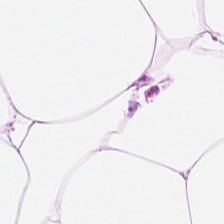H&E stain. The tissue here is adipose.
